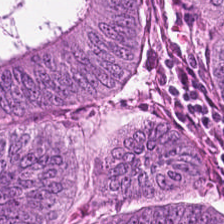H&E stain. FFPE.
Predominant tissue = colorectal adenocarcinoma epithelium.
